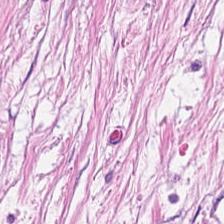224×224 px patch; whole-slide-image patch; hematoxylin and eosin. Desmoplastic stroma.
